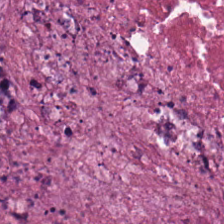Whole-slide-image patch · H&E stain. Q: What tissue is shown?
A: Cellular debris.
